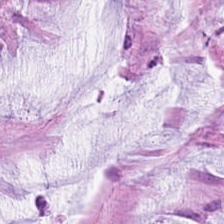Stain: hematoxylin and eosin.
Acquisition: WSI patch.
Predominant tissue: mucin.
